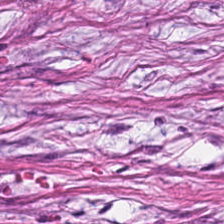FFPE · H&E-stained tissue section.
{"tissue_type": "cancer-associated stroma"}
